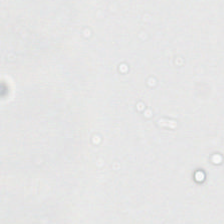Content = no tissue.
